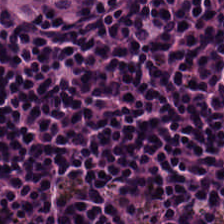H&E. FFPE. WSI patch — {"tissue_type": "lymphocyte aggregate"}
